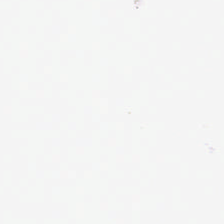Hematoxylin and eosin.
Impression → background.
